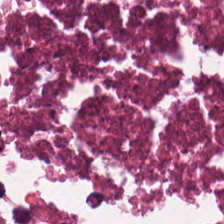H&E — Q: Identify the tissue.
A: The field shows necrotic debris.
